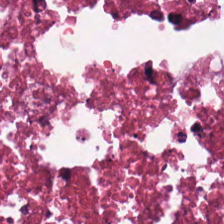Hematoxylin-and-eosin stained section. 0.5 µm/px — Q: What tissue type is shown here?
A: Debris.
